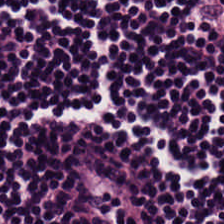WSI patch; hematoxylin-and-eosin stained section. Tissue type = lymphocytes.
